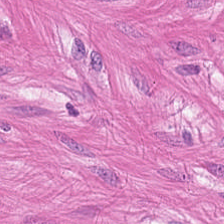Histology — smooth-muscle tissue.
